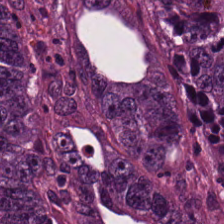Hematoxylin and eosin. The tissue type is tumor epithelium.
